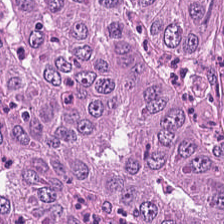FFPE tissue section. WSI patch. H&E. Histology → colorectal adenocarcinoma epithelium.
